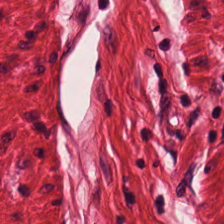Q: Identify the tissue.
A: Muscularis.
